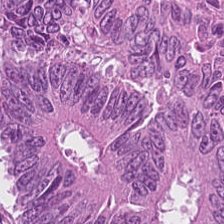H&E-stained tissue section. Predominant tissue = tumor epithelium.
